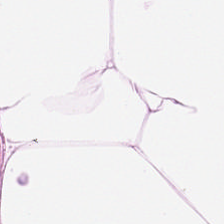H&E stain.
The predominant tissue is adipocytes.
